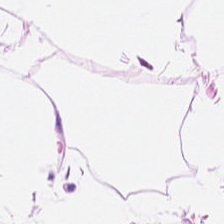H&E-stained tissue section.
{"tissue_type": "fat tissue"}
